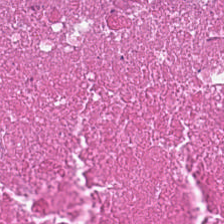H&E — Impression → necrotic debris.
